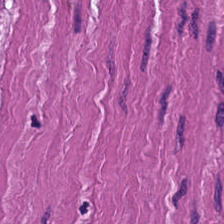H&E stain. Showing smooth-muscle tissue.
